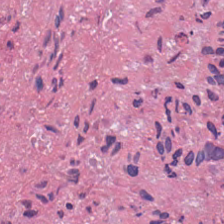Q: What is shown here?
A: The field shows necrotic debris.
